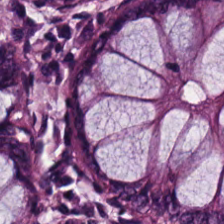Stain: H&E.
Resolution: 20× equivalent magnification.
Tile size: 224×224 px patch.
Tissue class: normal colon mucosa.
